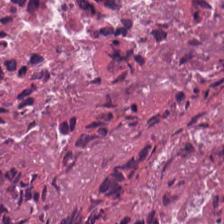20× equivalent magnification · FFPE · H&E stain.
Necrotic debris.
